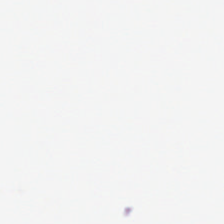Q: What is shown in this field?
A: The field shows background.
